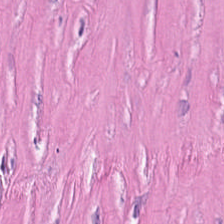Hematoxylin and eosin; FFPE — Q: What tissue is shown?
A: This is cancer-associated stroma.
